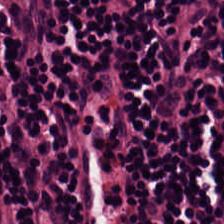H&E.
Q: Classify this patch.
A: The field shows lymphoid infiltrate.
